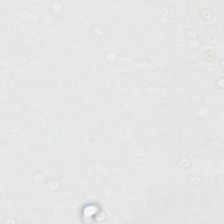0.5 µm/px. H&E. 224×224 px tile — Classification: empty background.
